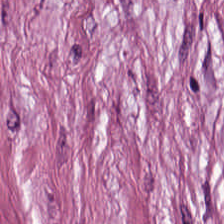Stain: hematoxylin and eosin.
Tissue type: tumor-associated stroma.
